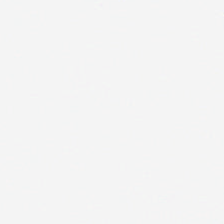Background (no tissue).
